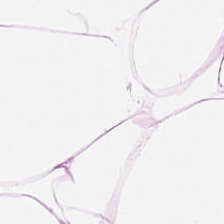H&E; WSI patch; formalin-fixed paraffin-embedded section — Q: What does this patch show?
A: This is adipocytes.
